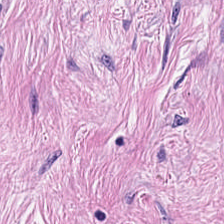H&E-stained tissue section — The tissue here is desmoplastic stroma.
